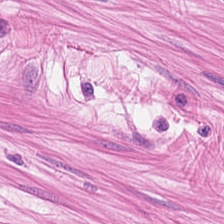Stain: hematoxylin and eosin.
Classification: smooth muscle.
